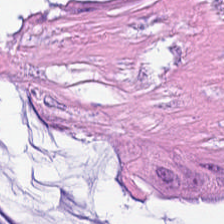Hematoxylin-and-eosin section: extracellular mucin.
